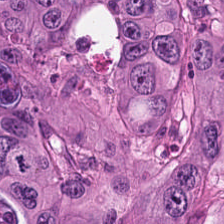Hematoxylin and eosin; brightfield. This patch shows malignant epithelium.
